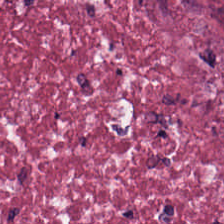H&E stain; 0.5 µm per pixel. Tumor-associated stroma.
